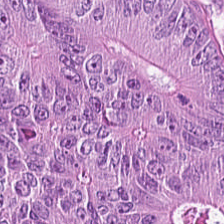H&E stain. Colorectal adenocarcinoma epithelium.
